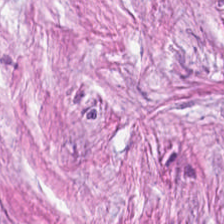Stain: hematoxylin and eosin.
Tissue class: tumor-associated stroma.
